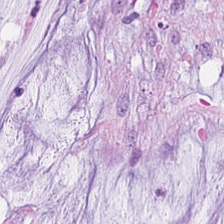H&E-stained tissue section. The tissue here is mucus.
